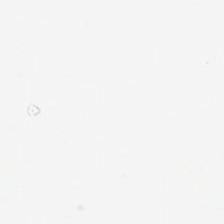Stain: H&E-stained tissue section.
Acquisition: WSI patch.
Field content: no tissue.
